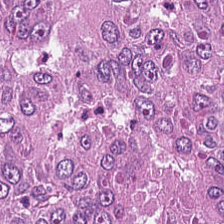0.5 microns per pixel · H&E. {"tissue_type": "malignant epithelium"}
